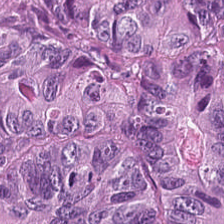H&E stain; 224×224 px patch; 20× equivalent magnification.
Tissue — colorectal adenocarcinoma epithelium.
